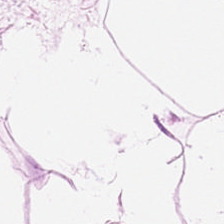H&E stain · formalin-fixed paraffin-embedded section — Showing adipose tissue.
